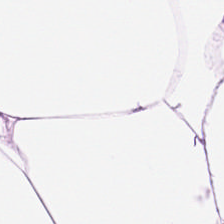Hematoxylin and eosin — This field is adipocytes.
